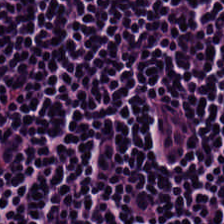20× equivalent magnification. H&E. {"tissue_type": "lymphocytes"}
